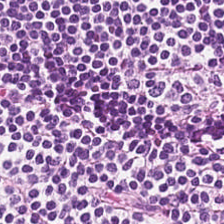H&E stain.
Q: What type of tissue is this?
A: Lymphocytic infiltrate.
